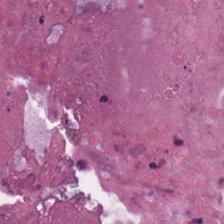H&E.
Impression — necrotic debris.
